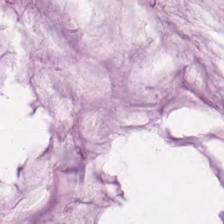H&E-stained tissue section.
The predominant tissue is mucin.
